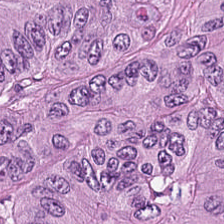H&E; formalin-fixed paraffin-embedded section; 224×224 pixel tile.
Q: What is the predominant tissue type?
A: It is tumor epithelium.
